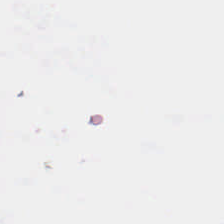224×224 px tile; hematoxylin and eosin — Classification — no tissue.
